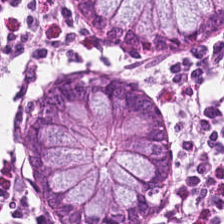H&E patch showing normal colon mucosa.
